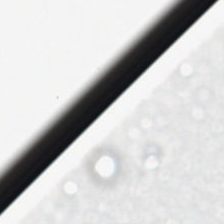FFPE; hematoxylin-and-eosin stained section. The classification is background (no tissue).
